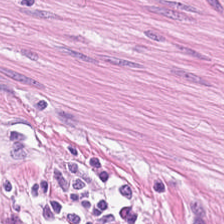Stain: hematoxylin-and-eosin stained section.
Tissue: muscularis.
